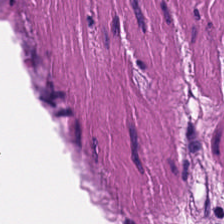H&E patch showing smooth-muscle tissue.
